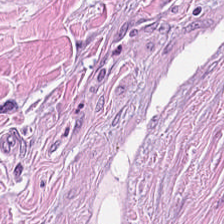H&E-stained tissue section showing cancer-associated stroma.
